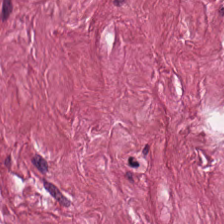H&E; whole-slide-image patch; formalin-fixed paraffin-embedded section — Impression — desmoplastic stroma.
